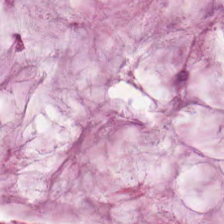Stain: hematoxylin-and-eosin stained section.
Resolution: 0.5 µm/px.
Tissue type: extracellular mucin.
